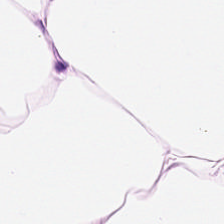Classification — adipocytes.
